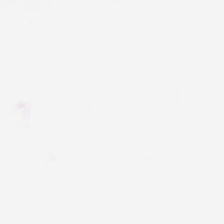This patch shows background (no tissue).
